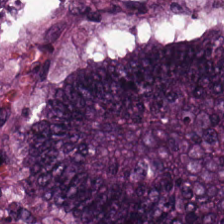Hematoxylin and eosin. 224×224 pixel tile. Histology → malignant epithelium.
